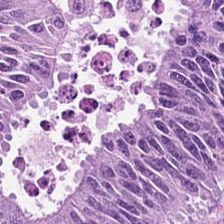The predominant tissue is colorectal adenocarcinoma epithelium.
